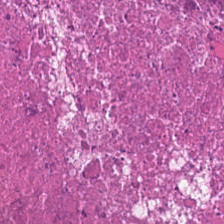H&E — Impression — debris.
